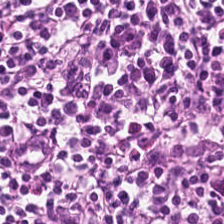Formalin-fixed paraffin-embedded section; hematoxylin and eosin; 224×224 pixel tile.
Q: What does this patch show?
A: Lymphocytes.
